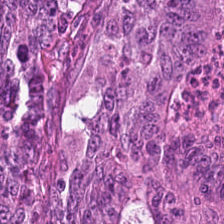H&E-stained tissue section. Tissue class = colorectal adenocarcinoma.
